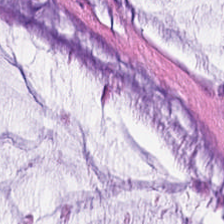Showing extracellular mucin.
